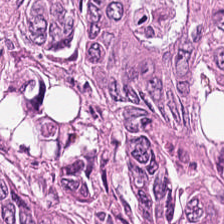Stain: H&E stain.
Preparation: FFPE.
Tissue type: colorectal adenocarcinoma epithelium.
